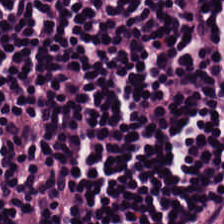H&E-stained tissue section. 20× equivalent magnification. FFPE tissue section — Showing lymphoid infiltrate.
